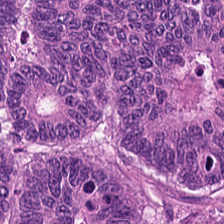Formalin-fixed paraffin-embedded section · H&E-stained tissue section — Q: What type of tissue is this?
A: It is malignant epithelium.
